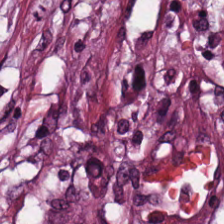The predominant tissue is tumor-associated stroma.
